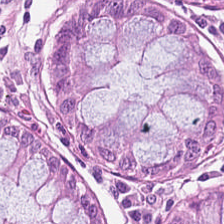Brightfield · 0.5 µm/px · H&E-stained tissue section.
Histology → normal colon mucosa.
